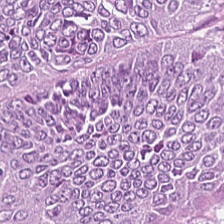Stain: H&E-stained tissue section.
Tissue: colorectal adenocarcinoma.
